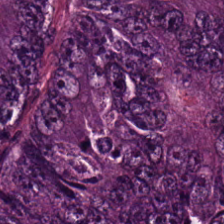0.5 µm/px · H&E stain · formalin-fixed paraffin-embedded section.
The predominant tissue is colorectal adenocarcinoma.
